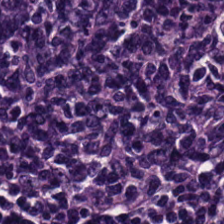Hematoxylin and eosin. 20× equivalent magnification. 224×224 px tile. This patch shows lymphoid infiltrate.
